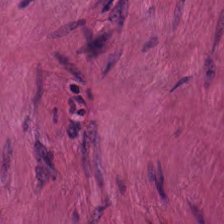H&E stain. This patch shows smooth-muscle tissue.
